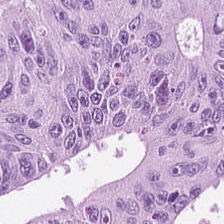Tissue — malignant epithelium.
